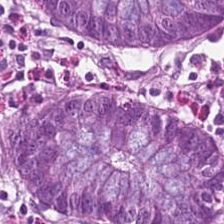The predominant tissue is benign colonic mucosa.
